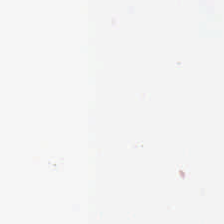H&E — Field content: background (no tissue).
